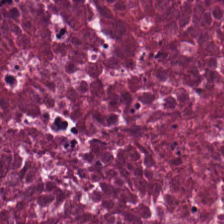Formalin-fixed paraffin-embedded section · H&E stain. The tissue here is cellular debris.
